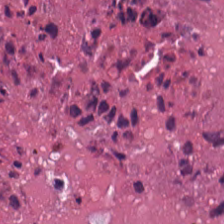Hematoxylin-and-eosin stained section · 0.5 µm per pixel.
Impression — cellular debris.
